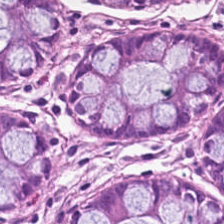Hematoxylin and eosin.
The tissue type is benign colonic mucosa.
